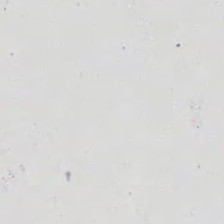Stain: hematoxylin-and-eosin stained section.
Classification: background (no tissue).
